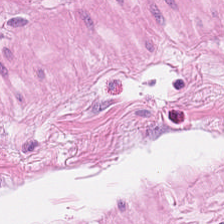Formalin-fixed paraffin-embedded section · H&E-stained tissue section · 224×224 px patch — Smooth muscle.
